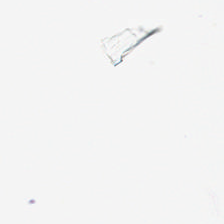H&E stain — {"content": "background"}
